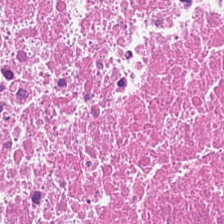H&E stain. Showing debris.
